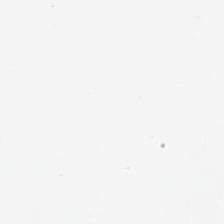H&E.
Finding — no tissue.
